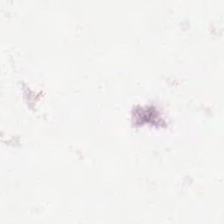H&E; FFPE.
The classification is no tissue.
